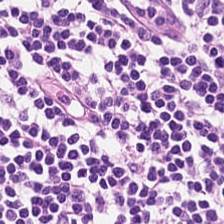Stain: H&E-stained tissue section.
Predominant tissue: lymphoid infiltrate.
